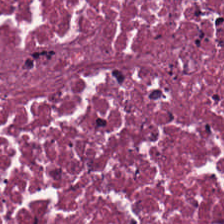H&E stain. Predominant tissue: debris.
